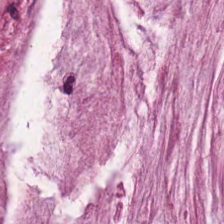H&E stain. Q: What is shown here?
A: Mucin.
